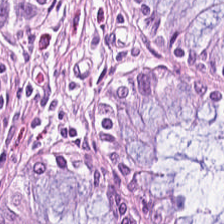FFPE tissue section · H&E stain — Q: Identify the tissue.
A: This is benign colonic mucosa.
